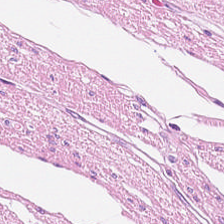Formalin-fixed paraffin-embedded section. WSI patch. H&E-stained tissue section.
This patch shows smooth-muscle tissue.
